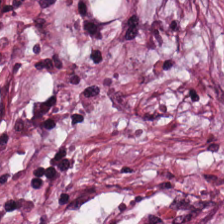0.5 µm/px · H&E-stained tissue section — Predominantly desmoplastic stroma.
